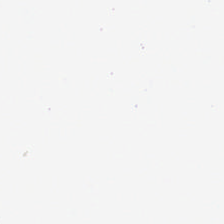FFPE; H&E; 0.5 microns per pixel.
Background.
